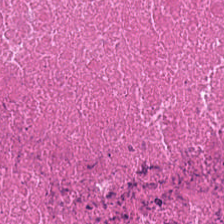The predominant tissue is necrotic debris.
